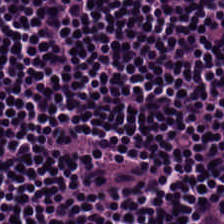0.5 microns per pixel. Hematoxylin and eosin. The predominant tissue is lymphocyte aggregate.
